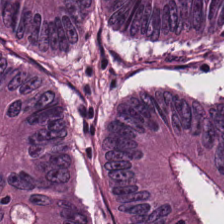Hematoxylin-and-eosin stained section.
Q: What tissue is shown?
A: The field shows adenocarcinoma.
